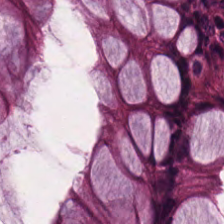Stain: H&E-stained tissue section.
Predominant tissue: normal colonic mucosa.
